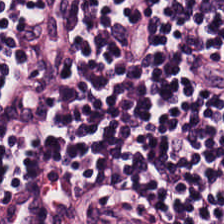Q: What tissue is shown?
A: It is lymphocyte aggregate.
